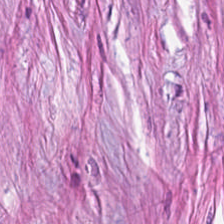Stain: H&E-stained tissue section.
Predominant tissue: tumor-associated stroma.
